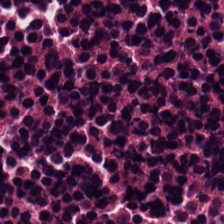Tissue = cellular debris.
